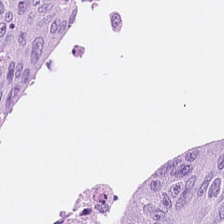H&E. Tissue class: tumor epithelium.
